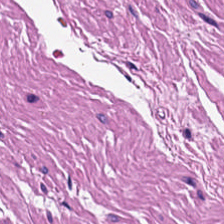H&E. The tissue class is smooth muscle.
